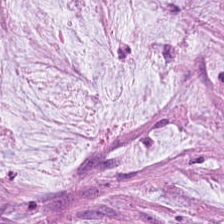Hematoxylin and eosin.
Q: What is the predominant tissue type?
A: The field shows mucus.
